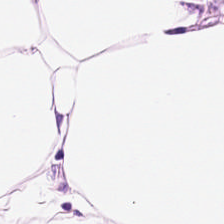Hematoxylin and eosin — Q: What tissue type is shown here?
A: This is adipose.
